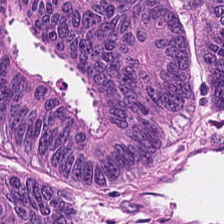0.5 microns per pixel; H&E. This patch shows colorectal adenocarcinoma.
